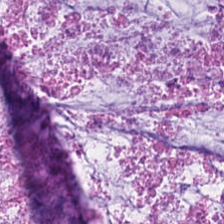FFPE tissue section. H&E stain — Q: What tissue is shown?
A: This is mucus.
